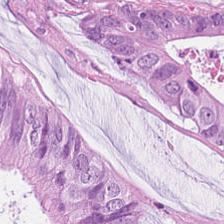Brightfield microscopy; hematoxylin-and-eosin stained section.
Classification: malignant epithelium.
